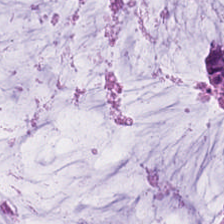FFPE tissue section · H&E-stained tissue section · 0.5 µm per pixel.
The tissue is mucin.
